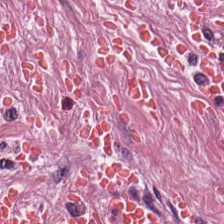H&E. {"tissue_type": "cancer-associated stroma"}
